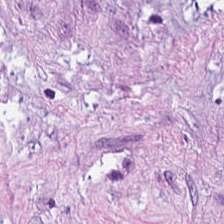Tissue = tumor-associated stroma.
